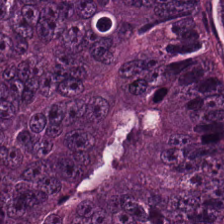FFPE; brightfield microscopy; hematoxylin-and-eosin stained section. Predominant tissue: malignant epithelium.
